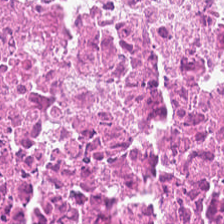Hematoxylin and eosin — {"tissue_type": "cellular debris"}
